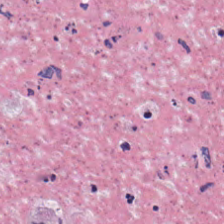The tissue is necrotic debris.
